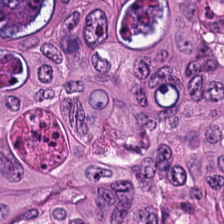H&E stain. FFPE tissue section.
Q: Identify the tissue.
A: This is tumor epithelium.
